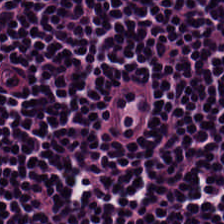Hematoxylin-and-eosin stained section. 0.5 microns per pixel. Q: Identify the tissue.
A: It is lymphocytic infiltrate.
